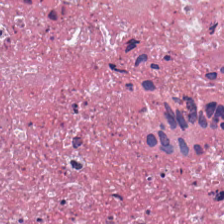224×224 pixel tile · formalin-fixed paraffin-embedded section · H&E — This patch shows necrotic debris.
